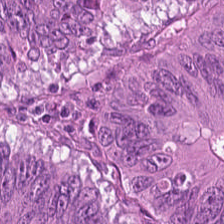The tissue is malignant epithelium.
